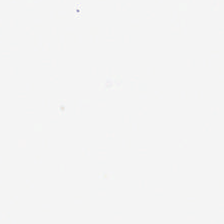Hematoxylin-and-eosin stained section.
{"content": "empty background"}
